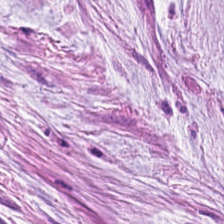Hematoxylin and eosin.
Q: What does this patch show?
A: Mucin.
